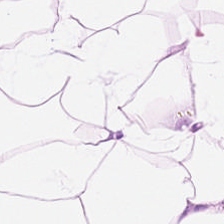H&E — Q: Identify the tissue.
A: The field shows fat tissue.
